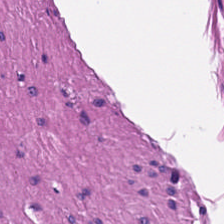{"tissue_type": "smooth-muscle tissue"}
